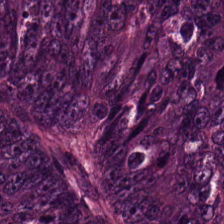Hematoxylin and eosin. 0.5 microns per pixel. Brightfield microscopy.
Predominant tissue: tumor epithelium.
